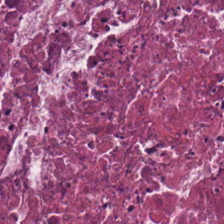Stain: H&E-stained tissue section.
Classification: debris.
